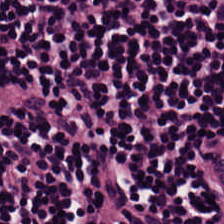H&E stain — Predominantly lymphocyte aggregate.
